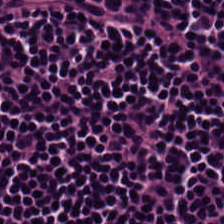Hematoxylin-and-eosin section: lymphocyte aggregate.
